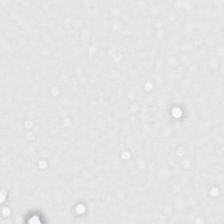Hematoxylin-and-eosin stained section — Classification: no tissue.
